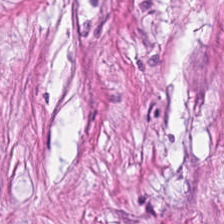H&E-stained tissue section.
Q: What tissue type is shown here?
A: This is cancer-associated stroma.
